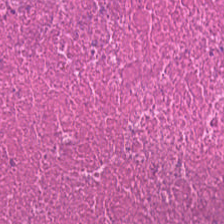H&E — Debris.
